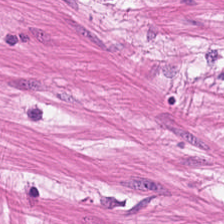Histology → muscularis.
